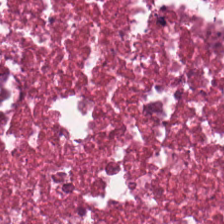Hematoxylin-and-eosin stained section. Q: What type of tissue is this?
A: Debris.
